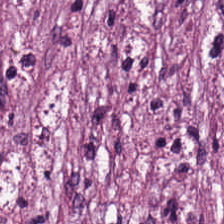Hematoxylin-and-eosin stained section.
The predominant tissue is desmoplastic stroma.
